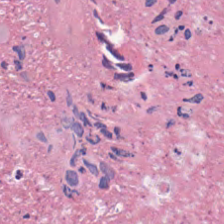Histology — debris.
